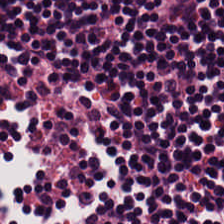H&E-stained tissue section.
Q: What type of tissue is this?
A: Lymphocytes.
